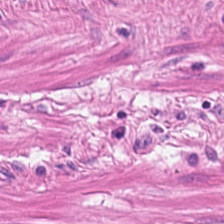Hematoxylin and eosin.
Classification: smooth muscle.
